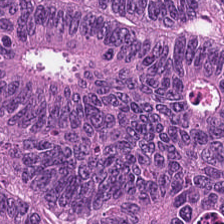H&E — Tissue type: colorectal adenocarcinoma.
